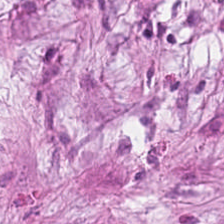Stain: hematoxylin-and-eosin stained section.
Classification: desmoplastic stroma.
